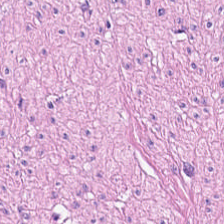Hematoxylin and eosin; formalin-fixed paraffin-embedded section; 224×224 pixel tile. The tissue here is muscularis.
